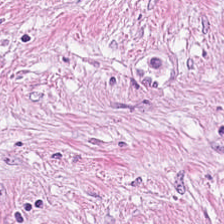0.5 µm/px. H&E stain.
Q: What type of tissue is this?
A: This is desmoplastic stroma.
